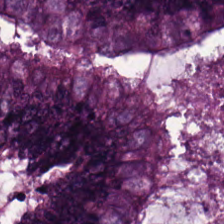Hematoxylin-and-eosin stained section.
The tissue here is tumor epithelium.
